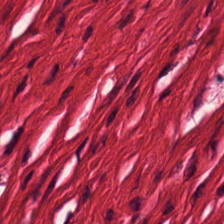The predominant tissue is muscularis.
